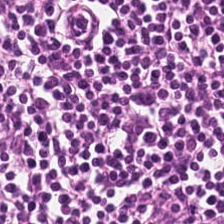Q: Classify this patch.
A: Lymphocytic infiltrate.
